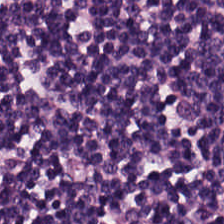Q: Classify this patch.
A: The field shows lymphocyte aggregate.
